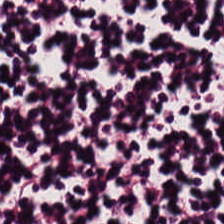0.5 µm per pixel; hematoxylin and eosin; 224×224 pixel tile — Q: Identify the tissue.
A: This is lymphocytic infiltrate.
